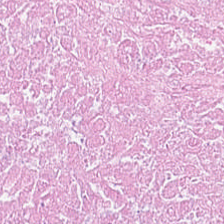H&E. 0.5 µm/px. Formalin-fixed paraffin-embedded section — {"tissue_type": "necrotic debris"}
